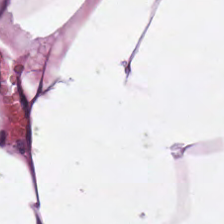H&E-stained tissue section.
{"tissue_type": "adipocytes"}
